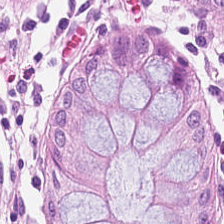H&E-stained tissue section.
The tissue here is non-neoplastic colon mucosa.
